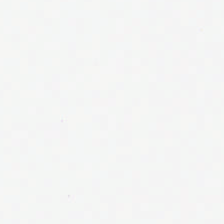Brightfield microscopy · 0.5 µm per pixel · H&E stain. The content is empty background.
